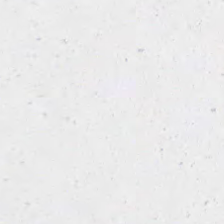Stain: H&E stain.
Content: no tissue.
